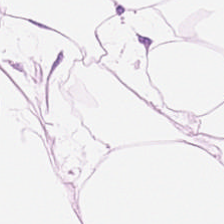Q: Identify the tissue.
A: Adipocytes.
